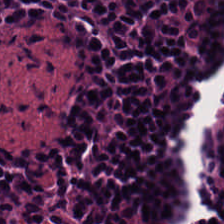H&E-stained tissue section.
Q: Identify the tissue.
A: It is lymphocyte aggregate.
